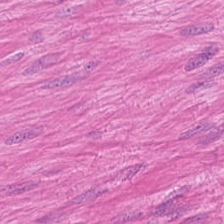H&E stain. WSI patch — The classification is muscularis.
